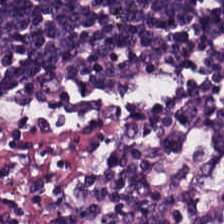Hematoxylin-and-eosin stained section.
The predominant tissue is lymphocyte aggregate.
